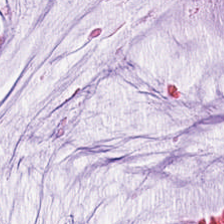H&E-stained tissue section — Extracellular mucin.
